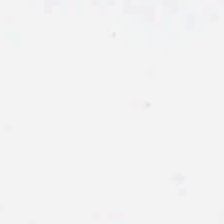H&E; whole-slide-image patch; FFPE tissue section.
Empty field — background.
